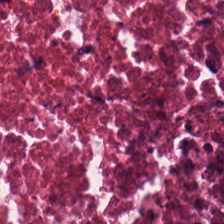Predominantly necrotic debris.
